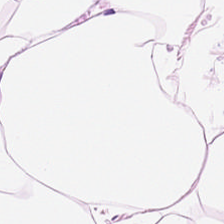Stain: H&E stain.
Classification: adipose tissue.
